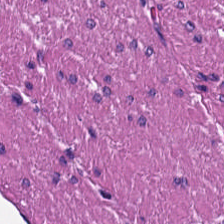Showing smooth muscle.
